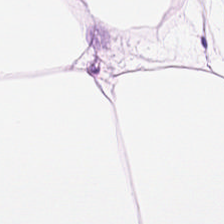FFPE tissue section. Hematoxylin and eosin. 0.5 µm per pixel. The tissue type is fat tissue.
